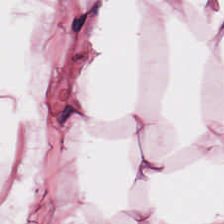Q: What does this patch show?
A: Adipose tissue.
